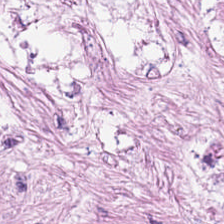Stain: H&E-stained tissue section.
Resolution: 0.5 microns per pixel.
Acquisition: whole-slide-image patch.
Classification: tumor stroma.
